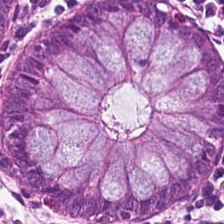H&E — Q: What tissue type is shown here?
A: Normal colonic mucosa.
